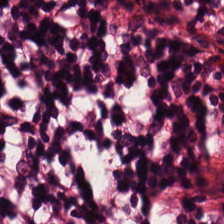Stain: H&E-stained tissue section.
Acquisition: whole-slide-image patch.
Tile size: 224×224 pixel tile.
Tissue: lymphoid infiltrate.
